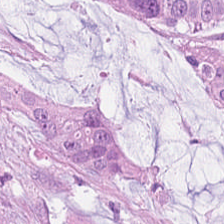224×224 px patch. H&E stain. WSI patch.
Finding — tumor epithelium.
